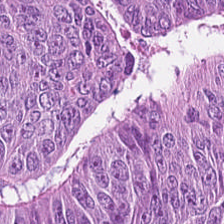20× equivalent magnification · H&E-stained tissue section. Predominant tissue — adenocarcinoma.
